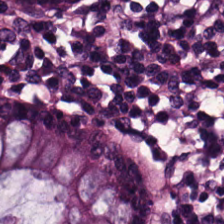FFPE; brightfield microscopy; H&E. Finding — non-neoplastic colon mucosa.
